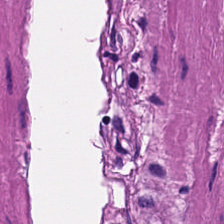Impression — smooth-muscle tissue.
